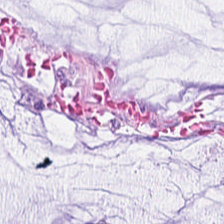Hematoxylin-and-eosin stained section.
Showing extracellular mucin.
